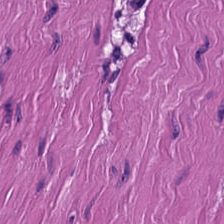Hematoxylin and eosin; formalin-fixed paraffin-embedded section; 224×224 px tile — Finding — smooth-muscle tissue.
